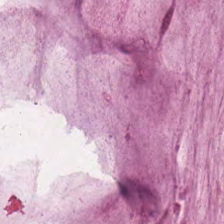Brightfield · H&E · 20× equivalent magnification — The predominant tissue is mucin.
